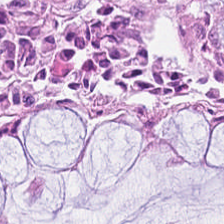This patch shows benign colonic mucosa.
